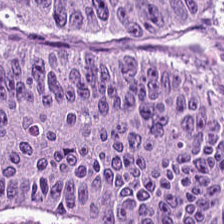H&E stain — Q: What is shown in this field?
A: It is colorectal adenocarcinoma.
